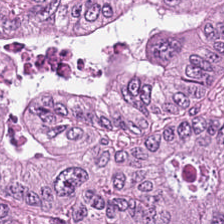Histology — adenocarcinoma.
